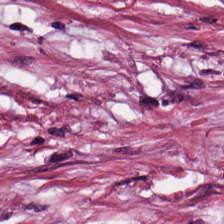0.5 µm per pixel · H&E stain · formalin-fixed paraffin-embedded section. Tissue class = desmoplastic stroma.
